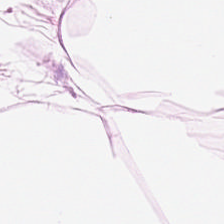H&E — Tissue type: fat tissue.
